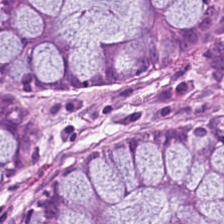0.5 microns per pixel; hematoxylin and eosin; 224×224 px patch — This patch shows normal colon mucosa.
